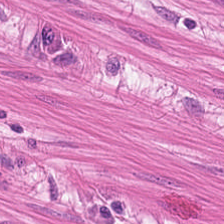H&E stain — This patch shows muscularis.
